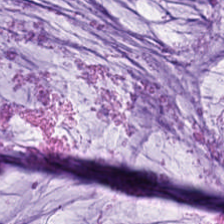Classification: mucus.
